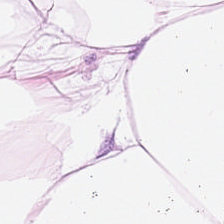Finding — adipose.
